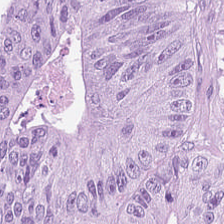This patch shows colorectal adenocarcinoma epithelium.
